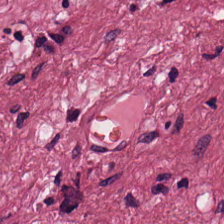Hematoxylin and eosin.
The tissue here is tumor stroma.
